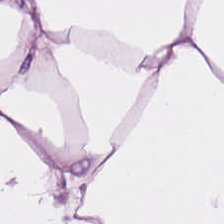H&E.
{"tissue_type": "fat tissue"}
